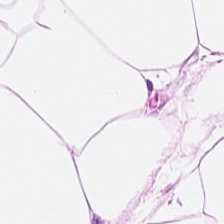Hematoxylin and eosin. The tissue class is fat tissue.
